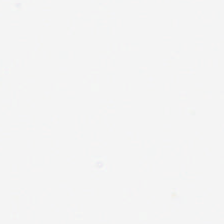Hematoxylin-and-eosin stained section — Classification: background (no tissue).
